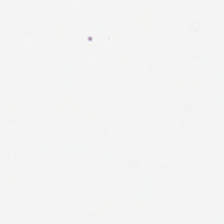Stain: H&E-stained tissue section.
Preparation: FFPE.
Content: no tissue.
